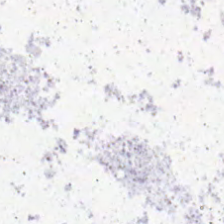Empty field — background.
